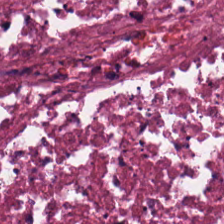The tissue class is necrotic debris.
